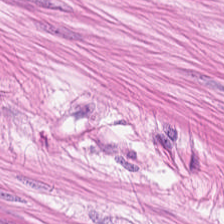Hematoxylin and eosin. FFPE tissue section. {"tissue_type": "smooth muscle"}
